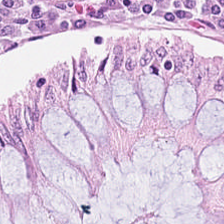H&E. Formalin-fixed paraffin-embedded section. Histology — non-neoplastic colon mucosa.
